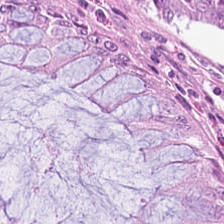FFPE tissue section · H&E stain — The predominant tissue is normal colon mucosa.
